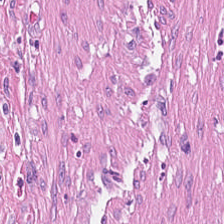Finding — cancer-associated stroma.
